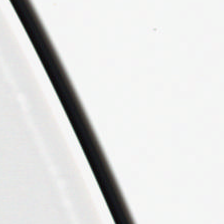Hematoxylin-and-eosin stained section. 224×224 px patch. Empty field — background (no tissue).
